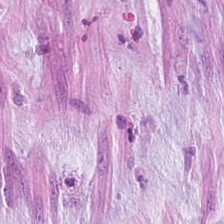Hematoxylin and eosin. 0.5 µm/px. 224×224 px tile — The tissue here is mucin.
